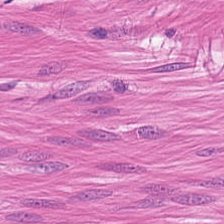Showing muscularis.
